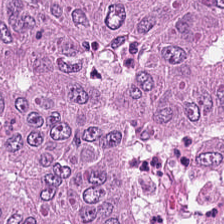20× equivalent magnification. H&E stain — Malignant epithelium.
